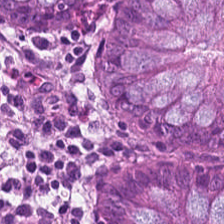224×224 px patch · H&E.
Predominant tissue: normal colon mucosa.
